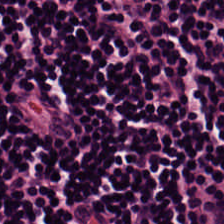Hematoxylin and eosin. The tissue here is lymphocytes.
